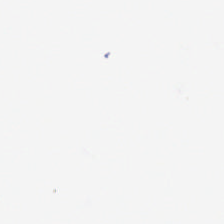This field is background (no tissue).
